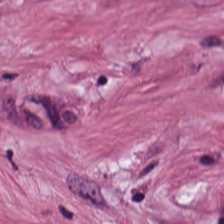Stain: H&E-stained tissue section.
Resolution: 0.5 µm/px.
Tissue class: tumor-associated stroma.
